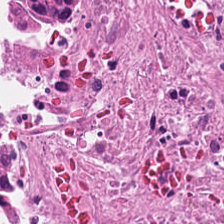Showing cellular debris.
